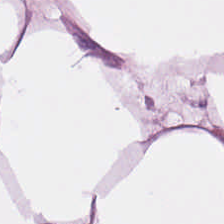Brightfield microscopy. H&E. 224×224 pixel tile. The predominant tissue is adipocytes.
